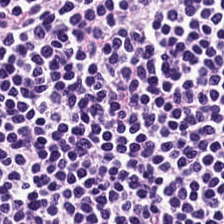Hematoxylin-and-eosin stained section — This field is lymphoid infiltrate.
